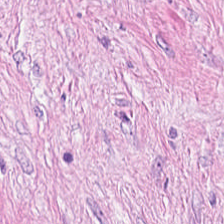Stain: hematoxylin and eosin.
Tissue: desmoplastic stroma.
